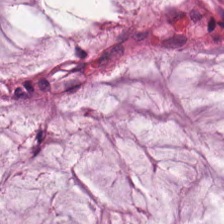Q: What does this patch show?
A: Mucin.
